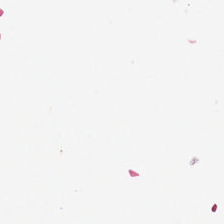Hematoxylin and eosin. No tissue present; background only.
